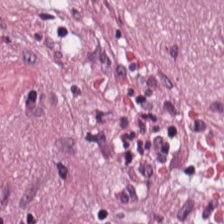H&E. {"tissue_type": "tumor-associated stroma"}
